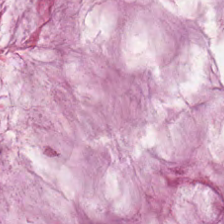Stain: hematoxylin-and-eosin stained section.
Tissue type: extracellular mucin.
